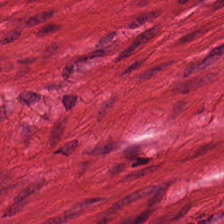H&E stain. 224×224 px patch. 0.5 microns per pixel. The tissue here is muscularis.
